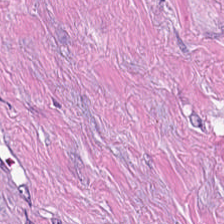Stain: H&E.
Tile size: 224×224 px patch.
Acquisition: brightfield microscopy.
Classification: tumor stroma.
